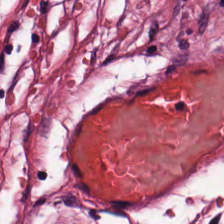224×224 pixel tile. H&E-stained tissue section.
Histology — desmoplastic stroma.
